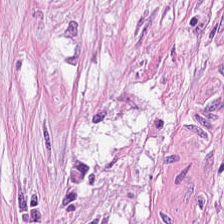Impression → tumor-associated stroma.
